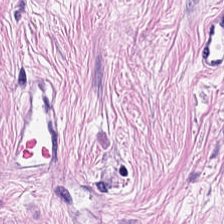Hematoxylin and eosin.
The predominant tissue is desmoplastic stroma.
